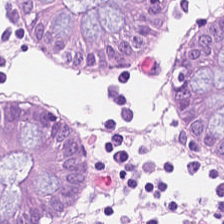{"tissue_type": "non-neoplastic colon mucosa"}
